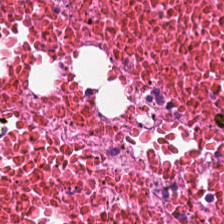Formalin-fixed paraffin-embedded section · H&E-stained tissue section — {"tissue_type": "debris"}
